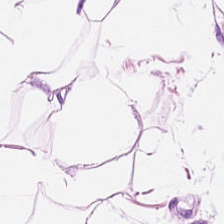Stain: H&E-stained tissue section.
Tissue: fat tissue.
